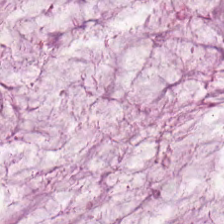The tissue is mucus.
